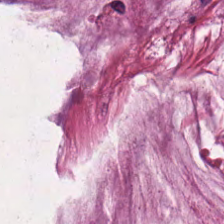Hematoxylin-and-eosin stained section · 224×224 px tile — {"tissue_type": "mucus"}
